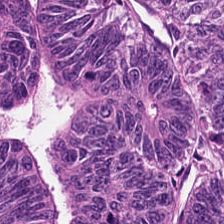Stain: hematoxylin-and-eosin stained section.
Tissue class: colorectal adenocarcinoma epithelium.
